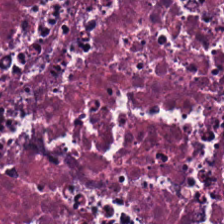Hematoxylin-and-eosin stained section. Tissue: cellular debris.
